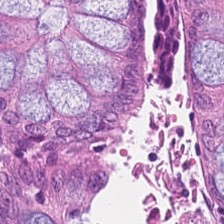H&E stain — Predominantly normal colonic mucosa.
